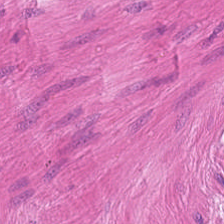Brightfield microscopy · FFPE · hematoxylin-and-eosin stained section. Classification: muscularis.
